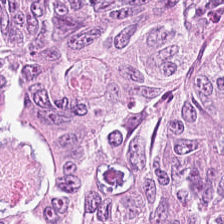The classification is tumor epithelium.
